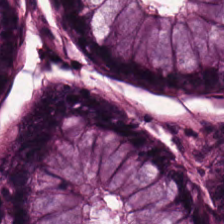H&E-stained tissue section.
Impression — benign colonic mucosa.
